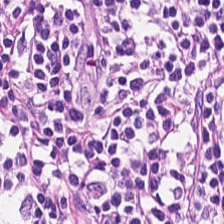H&E stain. Tissue type — lymphoid infiltrate.
